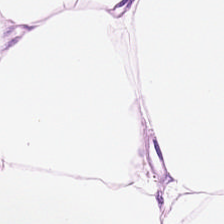Finding — adipose.
